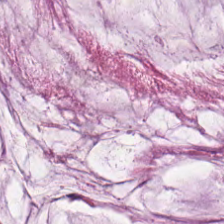H&E stain.
Mucus.
